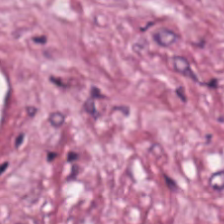Stain: H&E-stained tissue section.
Acquisition: brightfield microscopy.
Preparation: FFPE tissue section.
Classification: tumor-associated stroma.
